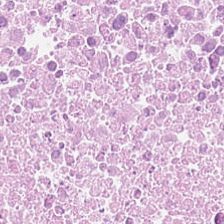H&E-stained tissue section. Q: What does this patch show?
A: The field shows necrotic debris.
